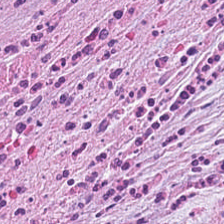WSI patch; H&E-stained tissue section — Q: What is shown here?
A: This is tumor stroma.
